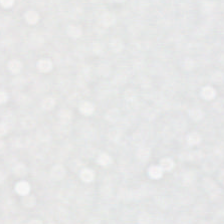Stain: H&E-stained tissue section.
Classification: background (no tissue).
